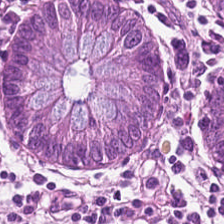Tissue: normal colonic mucosa.
